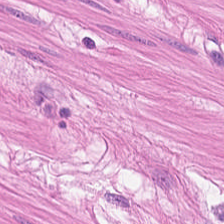Hematoxylin and eosin. Classification — smooth-muscle tissue.
